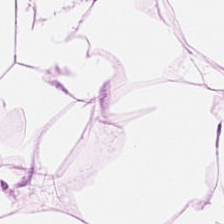The classification is adipocytes.
